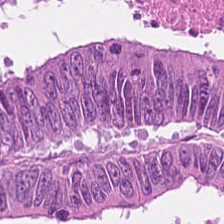Stain: hematoxylin-and-eosin stained section.
Tissue class: colorectal adenocarcinoma.
